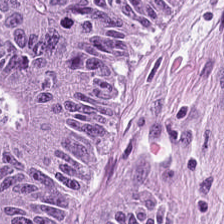H&E stain. Showing malignant epithelium.
